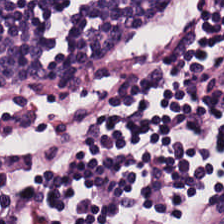H&E-stained tissue section — This patch shows lymphocyte aggregate.
